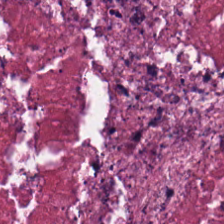H&E stain. Q: Classify this patch.
A: The field shows debris.
